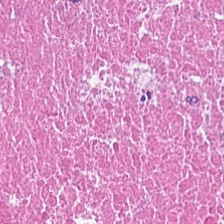Brightfield microscopy. 224×224 pixel tile. H&E.
Predominantly necrotic debris.
